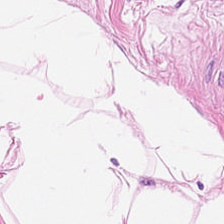Q: What type of tissue is this?
A: The field shows adipose tissue.
